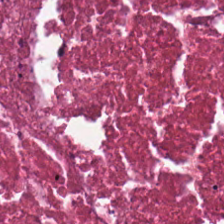Tissue class = debris.
